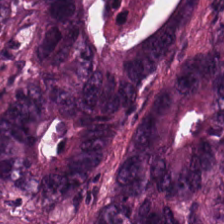Predominant tissue — adenocarcinoma.
